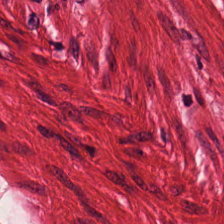Tissue type = muscularis.
